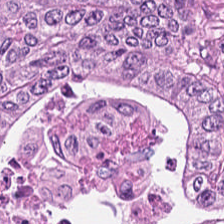H&E · whole-slide-image patch · 0.5 µm/px.
Q: What is shown here?
A: The field shows adenocarcinoma.
